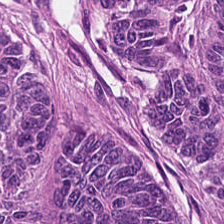H&E. Predominantly adenocarcinoma.
